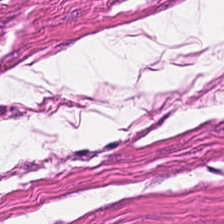H&E stain.
Predominant tissue = muscularis.
